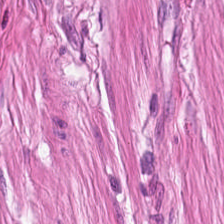Q: What is shown here?
A: This is muscularis.
